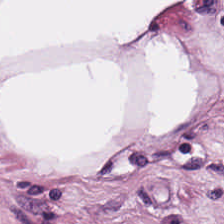WSI patch. H&E-stained tissue section. 0.5 microns per pixel — This field is adipose tissue.
